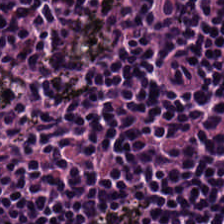H&E — Finding → lymphocytic infiltrate.
